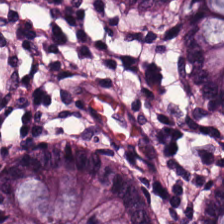Hematoxylin and eosin.
{"tissue_type": "non-neoplastic colon mucosa"}
